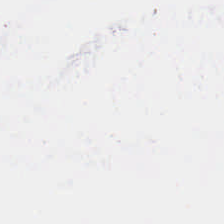FFPE; H&E-stained tissue section.
Empty field — background (no tissue).
